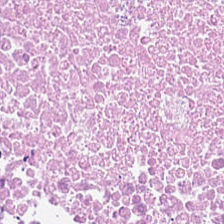The classification is necrotic debris.
